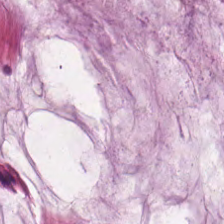Histology → mucus.
